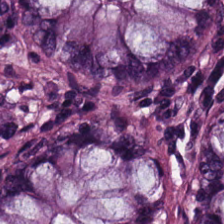Hematoxylin-and-eosin stained section. Histology → benign colonic mucosa.
